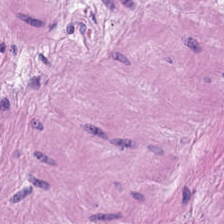Hematoxylin-and-eosin stained section. 0.5 µm per pixel.
The tissue here is muscularis.
